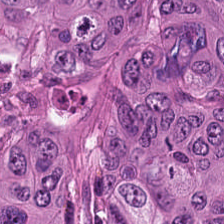Stain: hematoxylin and eosin.
Predominant tissue: malignant epithelium.
